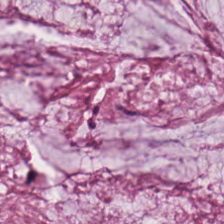Hematoxylin and eosin.
Tissue — mucus.
